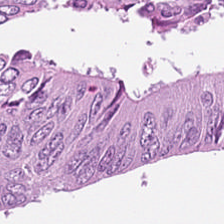H&E.
The tissue type is adenocarcinoma.
